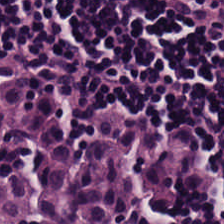The tissue here is lymphocytes.
